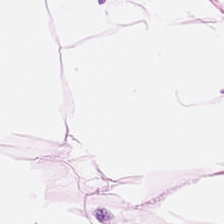The tissue type is adipose.
